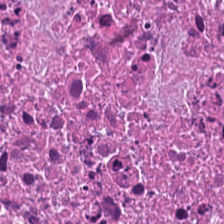H&E-stained tissue section. Predominant tissue: necrotic debris.
